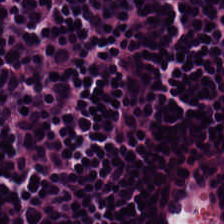Tissue = lymphocytes.
